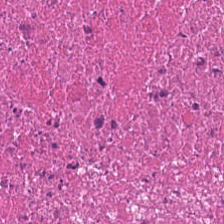Showing necrotic debris.
